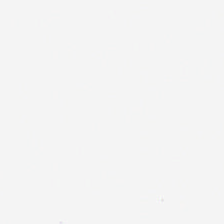224×224 pixel tile; FFPE tissue section; hematoxylin-and-eosin stained section. The field content is background (no tissue).
